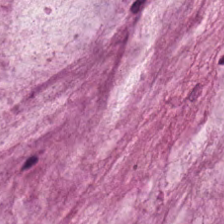This field is mucus.
